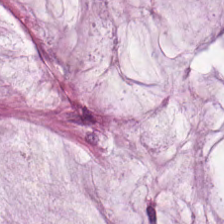Formalin-fixed paraffin-embedded section. Hematoxylin and eosin.
Impression → mucin.
